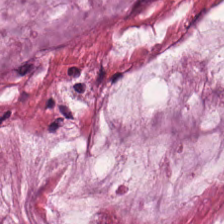H&E-stained tissue section. The predominant tissue is mucus.
